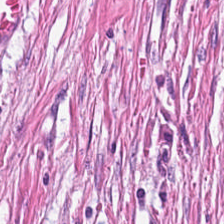H&E stain. 20× equivalent magnification. FFPE tissue section.
The tissue is tumor-associated stroma.
